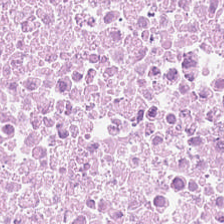H&E-stained tissue section — Tissue type: debris.
